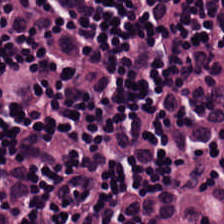H&E stain. 224×224 px tile. Impression → lymphoid infiltrate.
